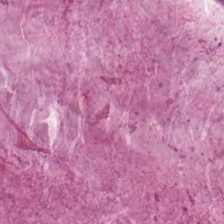{"tissue_type": "mucus"}
